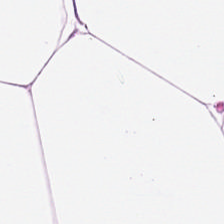Hematoxylin and eosin. Histology → adipocytes.
